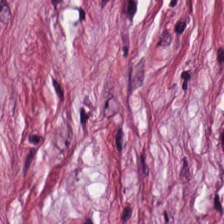H&E-stained tissue section.
Predominantly tumor stroma.
